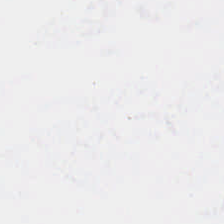FFPE · 224×224 pixel tile · H&E — Empty field — background.
